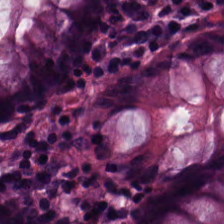Showing normal colonic mucosa.
